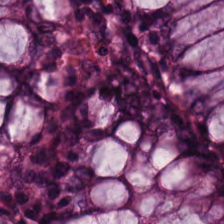Hematoxylin and eosin. Finding → normal colonic mucosa.
